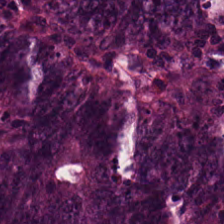Q: What is the predominant tissue type?
A: The field shows adenocarcinoma.
